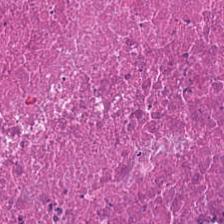Stain: H&E.
Predominant tissue: necrotic debris.
